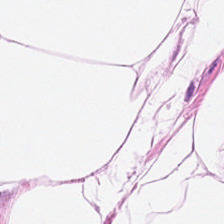224×224 px patch. Hematoxylin and eosin. FFPE.
Q: What is shown in this field?
A: Fat tissue.
